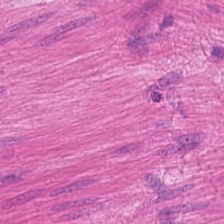H&E-stained tissue section.
Tissue type: muscularis.
